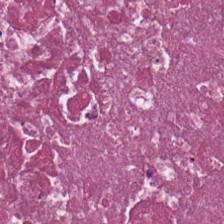Whole-slide-image patch; hematoxylin-and-eosin stained section; 0.5 microns per pixel. Q: Classify this patch.
A: The field shows cellular debris.
